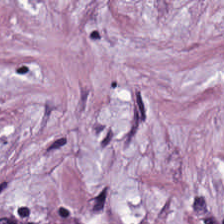H&E stain · FFPE · WSI patch. Tissue class — tumor-associated stroma.
